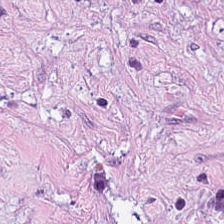Q: What is shown in this field?
A: The field shows cancer-associated stroma.
